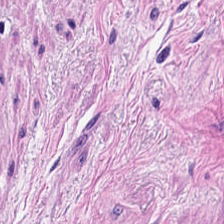H&E-stained tissue section — Finding → muscularis.
